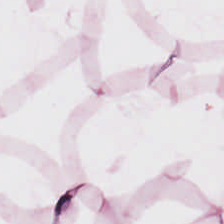H&E. The tissue class is fat tissue.
